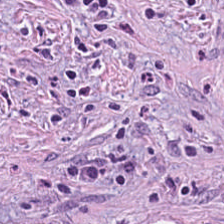Hematoxylin-and-eosin stained section — Tissue class — tumor-associated stroma.
